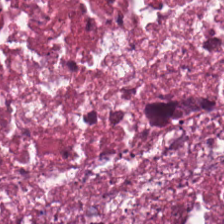Brightfield; H&E stain.
Predominant tissue: necrotic debris.
